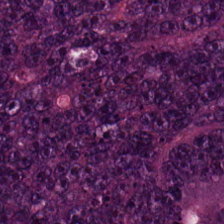Impression → malignant epithelium.
